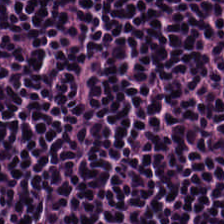224×224 px patch; hematoxylin and eosin — The predominant tissue is lymphocyte aggregate.
